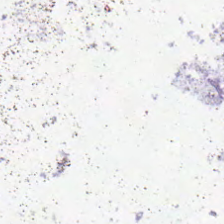Hematoxylin and eosin. WSI patch.
Q: What is shown here?
A: It is background.
